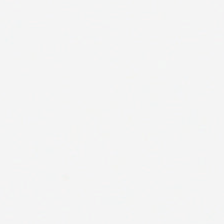H&E stain.
Field content — background (no tissue).
